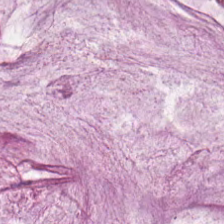Hematoxylin and eosin.
Predominant tissue: extracellular mucin.
